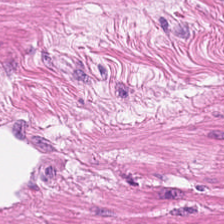H&E-stained tissue section.
Tissue type = smooth muscle.
